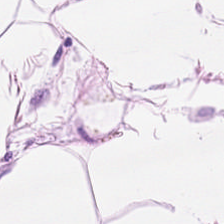Tissue class — fat tissue.
